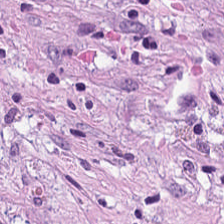Q: What type of tissue is this?
A: The field shows tumor stroma.
